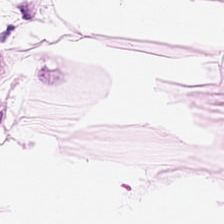Hematoxylin and eosin — Tissue class — adipose.
